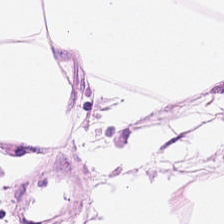H&E — The tissue type is adipocytes.
